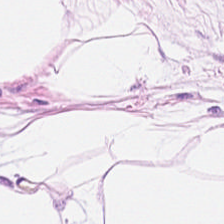H&E. This patch shows fat tissue.
